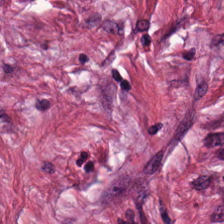Hematoxylin-and-eosin stained section — Impression → tumor stroma.
